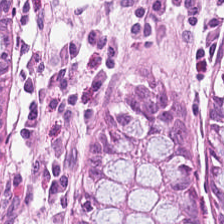H&E stain · 224×224 px patch. Tissue: benign colonic mucosa.
